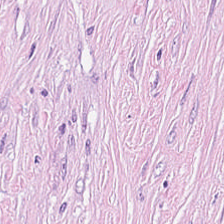Q: What tissue type is shown here?
A: This is tumor stroma.
